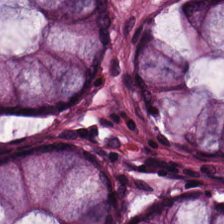H&E. Formalin-fixed paraffin-embedded section. Finding → benign colonic mucosa.
